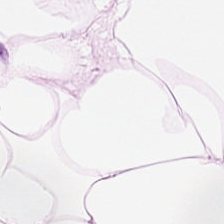Whole-slide-image patch. 0.5 microns per pixel. H&E-stained tissue section. This patch shows adipose tissue.
